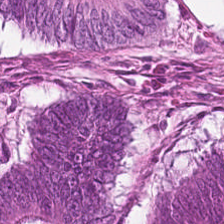H&E — Tissue — colorectal adenocarcinoma epithelium.
